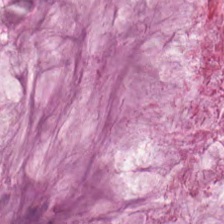Extracellular mucin.
